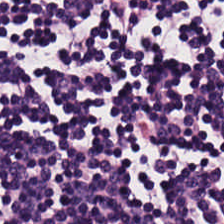H&E-stained tissue section.
Lymphocytic infiltrate.
